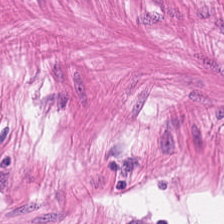This field is smooth muscle.
